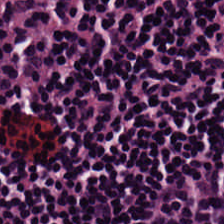This patch shows lymphocyte aggregate.
